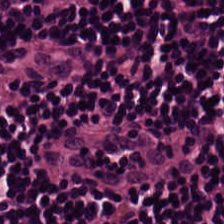224×224 pixel tile. Brightfield microscopy. Hematoxylin-and-eosin stained section. Lymphoid infiltrate.
